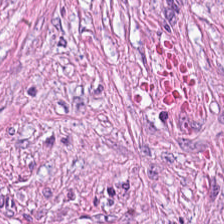H&E stain.
This patch shows tumor stroma.
